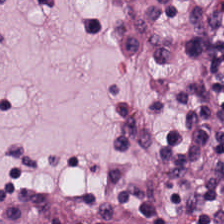Brightfield microscopy. 20× equivalent magnification. H&E-stained tissue section. This patch shows lymphocytes.
